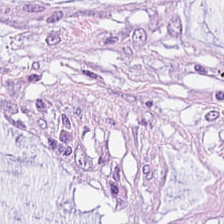0.5 microns per pixel; H&E; formalin-fixed paraffin-embedded section. Extracellular mucin.
